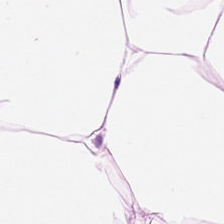H&E stain. 20× equivalent magnification. Whole-slide-image patch.
Tissue = adipose.
